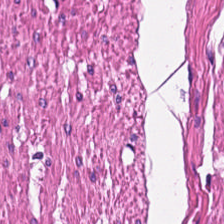224×224 px patch · H&E stain · 0.5 µm per pixel.
Impression → muscularis.
